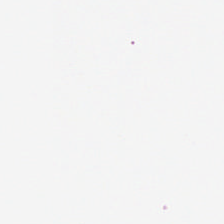Classification = background (no tissue).
